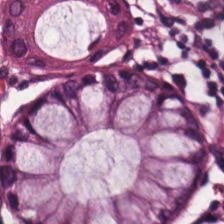H&E stain.
The tissue here is normal colon mucosa.
